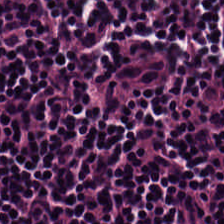H&E — Lymphocytic infiltrate.
